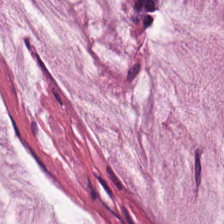H&E stain — {"tissue_type": "mucin"}
